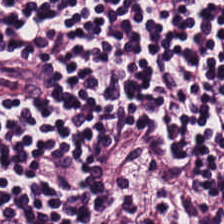H&E-stained tissue section — Finding → lymphocyte aggregate.
